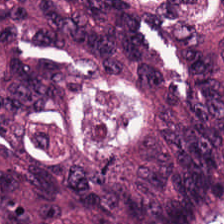Hematoxylin-and-eosin stained section — Histology → malignant epithelium.
